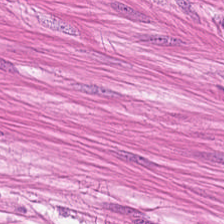Hematoxylin and eosin.
Finding → muscularis.
